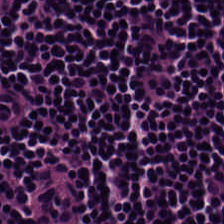H&E stain. Finding — lymphoid infiltrate.
